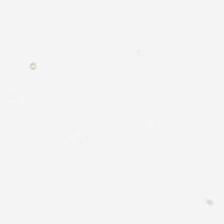Whole-slide-image patch. 0.5 µm/px. H&E stain. Field content = empty background.
